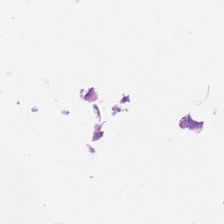Classification — background.
